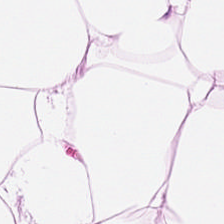H&E — adipocytes.
